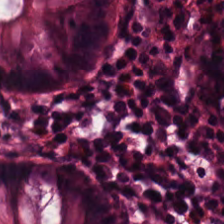Stain: hematoxylin-and-eosin stained section.
Resolution: 20× equivalent magnification.
Tissue type: normal colon mucosa.
